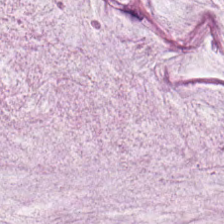Stain: hematoxylin-and-eosin stained section.
Preparation: FFPE tissue section.
Predominant tissue: extracellular mucin.
